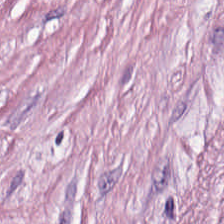H&E stain. 224×224 px tile — Histology → tumor stroma.
